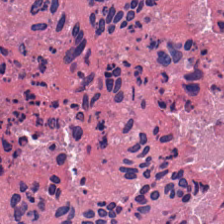Tissue class = debris.
